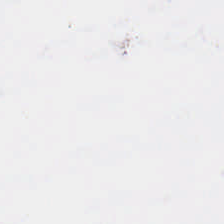Hematoxylin-and-eosin stained section · 224×224 px tile · formalin-fixed paraffin-embedded section. Background — no tissue in this field.
